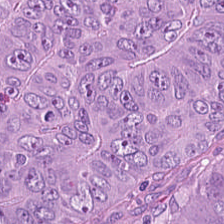H&E stain · 224×224 px patch.
Malignant epithelium.
